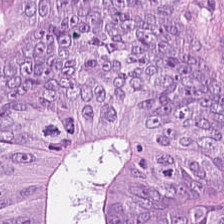H&E stain — {"tissue_type": "tumor epithelium"}
